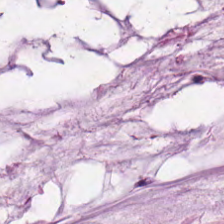H&E — mucin.
